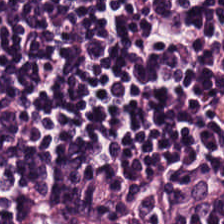Stain: hematoxylin-and-eosin stained section.
Tissue: lymphocytic infiltrate.
